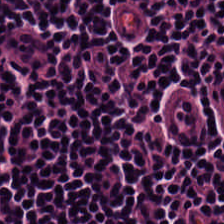224×224 px tile. H&E stain.
Classification — lymphocyte aggregate.
